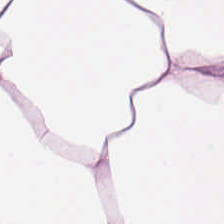Q: What does this patch show?
A: It is fat tissue.
